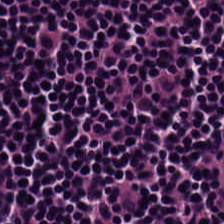Hematoxylin-and-eosin stained section; FFPE — Tissue class = lymphoid infiltrate.
